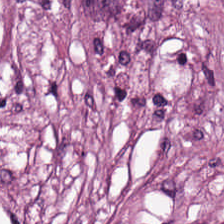Stain: H&E stain.
Tissue class: cancer-associated stroma.
